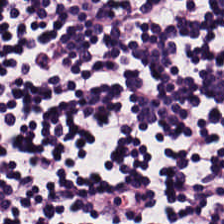Whole-slide-image patch; 224×224 pixel tile; hematoxylin and eosin. Tissue — lymphoid infiltrate.
